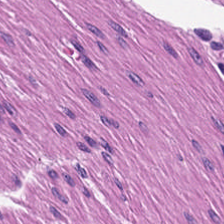FFPE tissue section · brightfield · H&E. Q: What does this patch show?
A: Smooth-muscle tissue.
